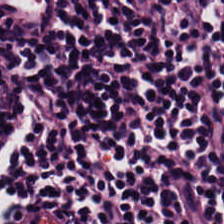Q: What tissue type is shown here?
A: Lymphocyte aggregate.
